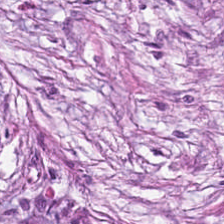Hematoxylin and eosin. Predominantly desmoplastic stroma.
